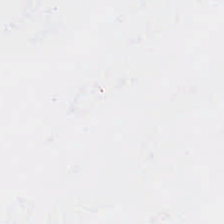FFPE tissue section · H&E stain.
Q: What is shown in this field?
A: It is no tissue.
